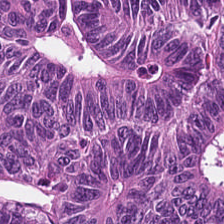Stain: hematoxylin and eosin.
Tissue: malignant epithelium.
